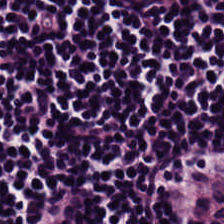224×224 pixel tile; hematoxylin-and-eosin stained section.
Predominantly lymphoid infiltrate.
